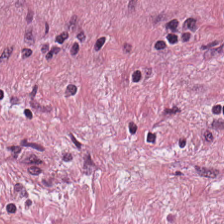Hematoxylin-and-eosin stained section — Cancer-associated stroma.
